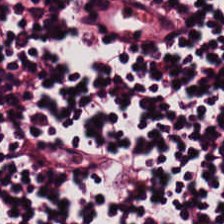H&E stain. 0.5 µm/px. {"tissue_type": "lymphocytes"}
